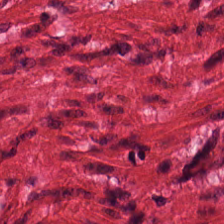H&E. Muscularis.
